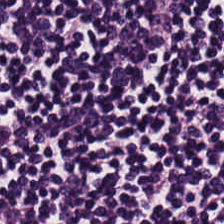Hematoxylin-and-eosin stained section. Predominantly lymphocytic infiltrate.
